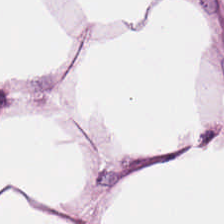Hematoxylin-and-eosin section: adipose.
